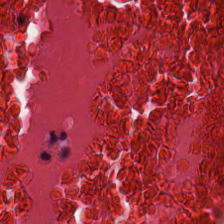H&E-stained tissue section; 224×224 px patch — Predominant tissue = cellular debris.
